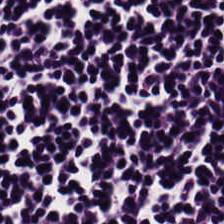Formalin-fixed paraffin-embedded section · H&E.
The predominant tissue is lymphocytic infiltrate.
